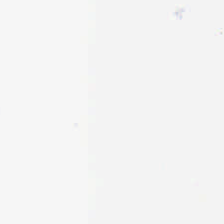FFPE; hematoxylin-and-eosin stained section — Empty field — background.
